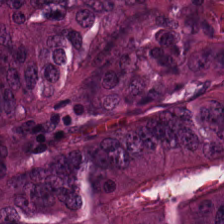Tissue: colorectal adenocarcinoma epithelium.
